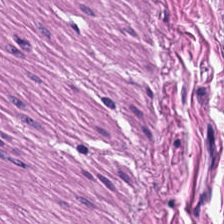H&E patch showing muscularis.
